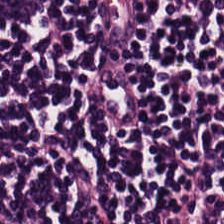H&E.
{"tissue_type": "lymphocytes"}
